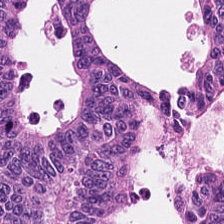Impression → adenocarcinoma.
